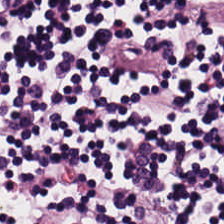Brightfield microscopy. H&E stain. This field is lymphoid infiltrate.
